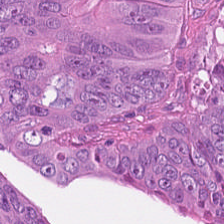Stain: H&E-stained tissue section.
Resolution: 0.5 microns per pixel.
Predominant tissue: adenocarcinoma.
